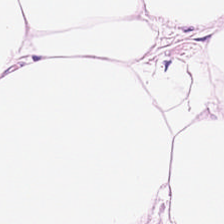H&E-stained tissue section · 20× equivalent magnification · 224×224 px tile.
This field is adipose.
